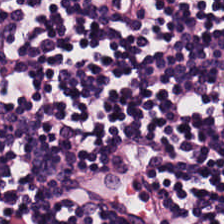Hematoxylin and eosin · 0.5 µm/px — The tissue here is lymphoid infiltrate.
